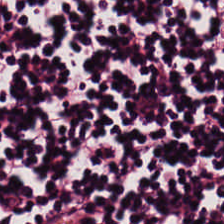Hematoxylin and eosin; 20× equivalent magnification. Finding — lymphoid infiltrate.
